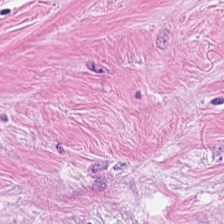H&E stain; whole-slide-image patch; 0.5 µm per pixel — Histology → tumor-associated stroma.
